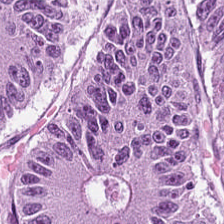H&E stain · FFPE tissue section — Predominant tissue = colorectal adenocarcinoma.
